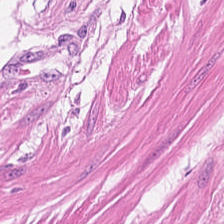224×224 px tile · H&E-stained tissue section · brightfield. Finding — smooth muscle.
